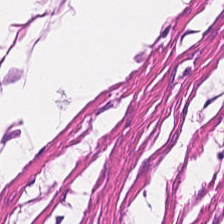Stain: H&E stain.
Tissue: smooth muscle.
